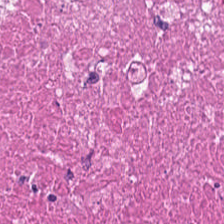224×224 px patch; H&E stain. {"tissue_type": "debris"}
